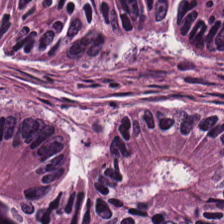Tissue type = tumor epithelium.
